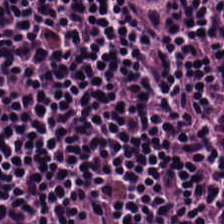{"tissue_type": "lymphocytes"}
